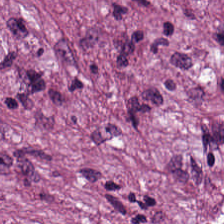H&E stain. FFPE tissue section.
The tissue type is cancer-associated stroma.
